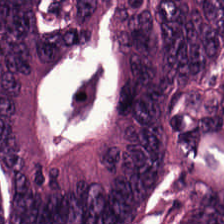224×224 px tile · H&E stain.
Colorectal adenocarcinoma epithelium.
